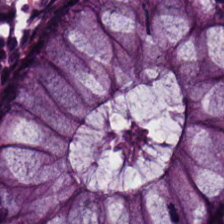Q: What is the predominant tissue type?
A: It is normal colonic mucosa.
